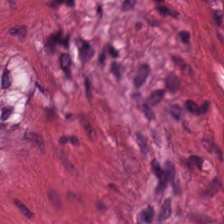Hematoxylin-and-eosin stained section. This field is muscularis.
